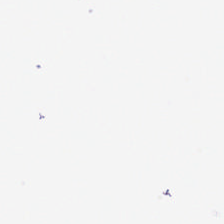20× equivalent magnification; H&E-stained tissue section. Q: What does this patch show?
A: The field shows empty background.
